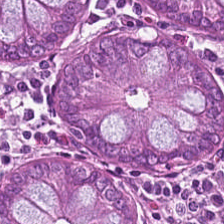H&E-stained tissue section — The tissue is non-neoplastic colon mucosa.
